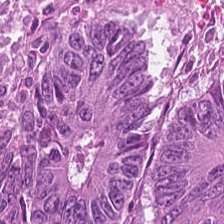Classification: colorectal adenocarcinoma.
